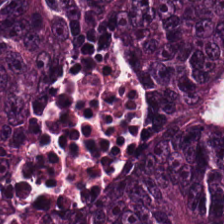Hematoxylin-and-eosin stained section; 224×224 px tile — This field is tumor epithelium.
